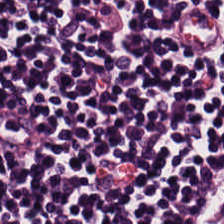Hematoxylin and eosin — {"tissue_type": "lymphocyte aggregate"}
